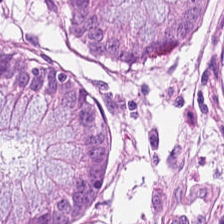Stain: H&E-stained tissue section.
Resolution: 0.5 µm/px.
Predominant tissue: normal colonic mucosa.
